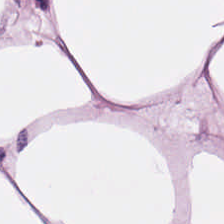Stain: H&E.
Preparation: formalin-fixed paraffin-embedded section.
Classification: adipocytes.
